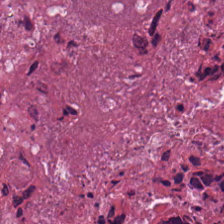Formalin-fixed paraffin-embedded section · 0.5 µm/px · H&E stain.
This patch shows necrotic debris.
